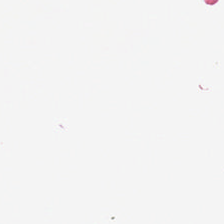0.5 microns per pixel. Hematoxylin-and-eosin stained section — Q: What is shown in this field?
A: The field shows background.
